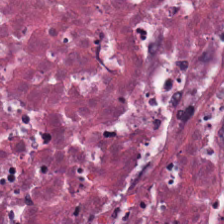{"tissue_type": "necrotic debris"}
